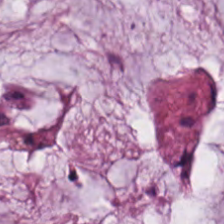Q: Classify this patch.
A: This is mucin.
